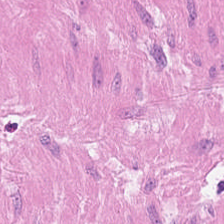Hematoxylin-and-eosin stained section.
The tissue here is muscularis.
